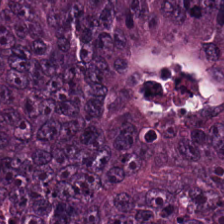FFPE tissue section · H&E stain. Tissue type = colorectal adenocarcinoma.
